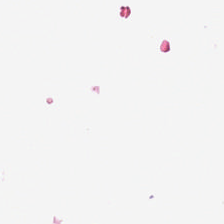Stain: H&E-stained tissue section.
Classification: no tissue.
